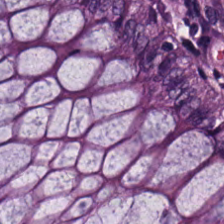This field is normal colonic mucosa.
